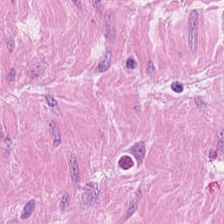Hematoxylin and eosin · brightfield.
Predominantly muscularis.
